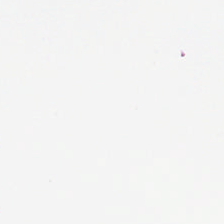Background.
